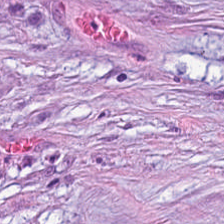Hematoxylin-and-eosin stained section — This field is tumor-associated stroma.
